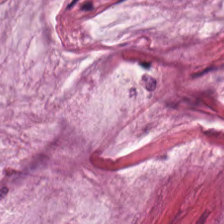Mucin.
